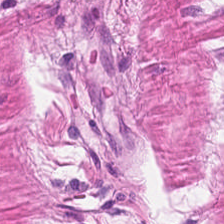H&E stain — {"tissue_type": "muscularis"}
